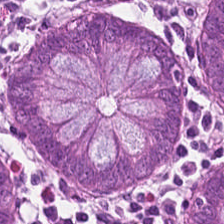Predominantly benign colonic mucosa.
